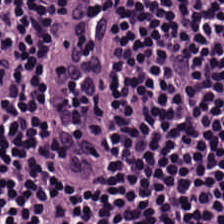Lymphoid infiltrate.
